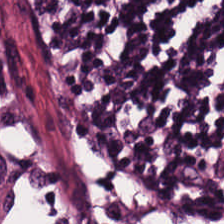Stain: hematoxylin-and-eosin stained section.
Classification: lymphocytic infiltrate.
